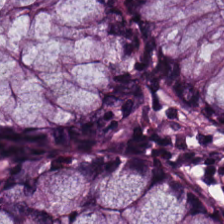Hematoxylin-and-eosin stained section · FFPE tissue section — Showing non-neoplastic colon mucosa.
